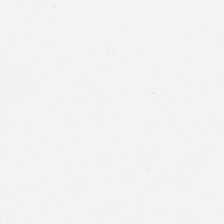Classification: background (no tissue).
